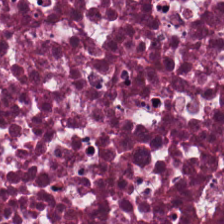H&E. {"tissue_type": "necrotic debris"}
